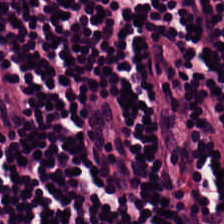Hematoxylin-and-eosin stained section — Q: What tissue type is shown here?
A: The field shows lymphoid infiltrate.
